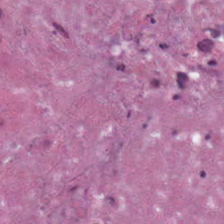H&E stain.
Tissue class = necrotic debris.
